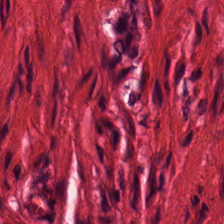Stain: H&E stain.
Predominant tissue: muscularis.
